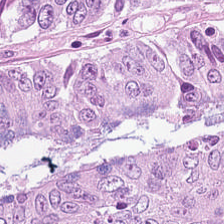H&E-stained tissue section.
The tissue here is colorectal adenocarcinoma epithelium.
